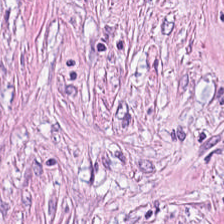H&E-stained tissue section. {"tissue_type": "tumor stroma"}
